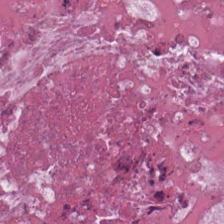Hematoxylin and eosin — Histology → cellular debris.
